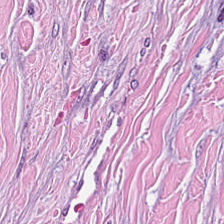H&E stain.
{"tissue_type": "cancer-associated stroma"}
